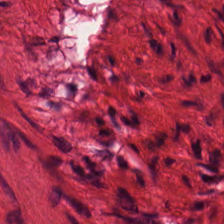Hematoxylin and eosin; 20× equivalent magnification — Tissue — muscularis.
